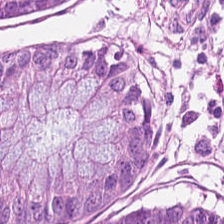H&E.
{"tissue_type": "non-neoplastic colon mucosa"}
